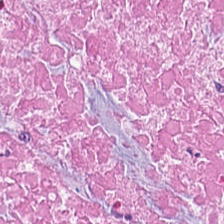H&E; 0.5 microns per pixel; whole-slide-image patch — Q: What tissue is shown?
A: The field shows cellular debris.
